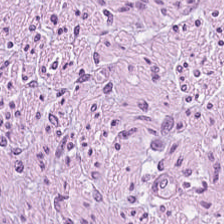20× equivalent magnification; H&E stain; FFPE — Predominantly tumor stroma.
